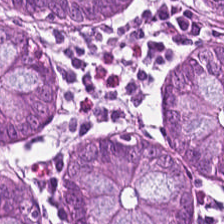The predominant tissue is normal colon mucosa.
